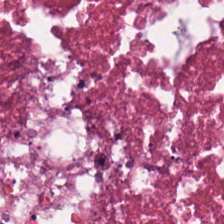Hematoxylin and eosin. Tissue type — debris.
